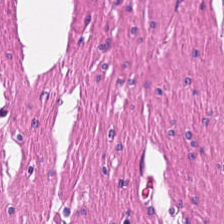H&E-stained tissue section — This patch shows muscularis.
